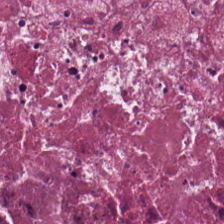FFPE tissue section · H&E-stained tissue section. Impression → cellular debris.
